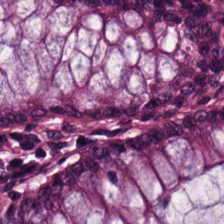H&E — non-neoplastic colon mucosa.
